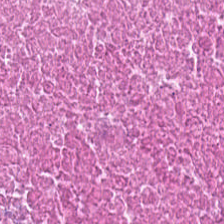Hematoxylin and eosin.
Predominantly cellular debris.
